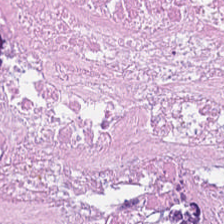Tissue type: necrotic debris.
